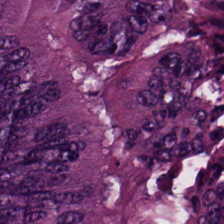20× equivalent magnification; H&E — Q: What tissue type is shown here?
A: Colorectal adenocarcinoma.
